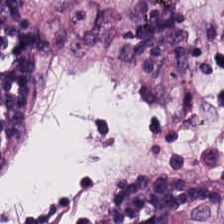H&E.
Tissue = lymphocytic infiltrate.
